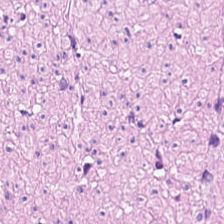H&E.
The tissue type is smooth muscle.
